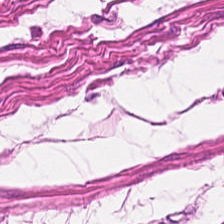Q: What is the predominant tissue type?
A: Smooth muscle.
